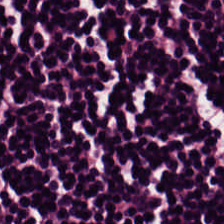H&E — The tissue is lymphocytes.
